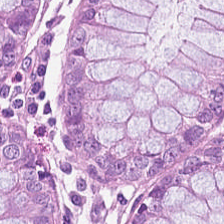Hematoxylin-and-eosin stained section.
This patch shows normal colon mucosa.
